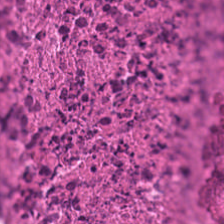WSI patch. H&E stain — Showing necrotic debris.
